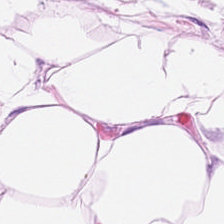{"tissue_type": "fat tissue"}
